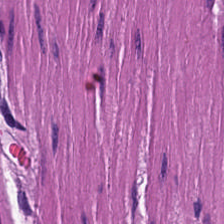Q: What is shown in this field?
A: This is smooth-muscle tissue.
